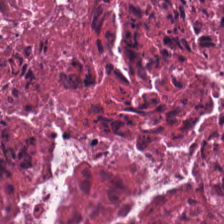H&E stain. Predominantly debris.
